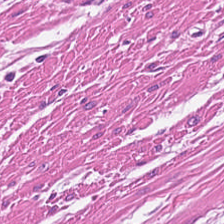224×224 px tile · hematoxylin and eosin · whole-slide-image patch.
Smooth-muscle tissue.
